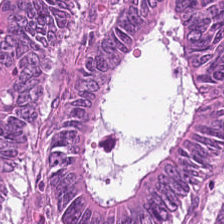Tissue — tumor epithelium.
